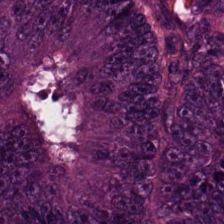Hematoxylin-and-eosin stained section — {"tissue_type": "tumor epithelium"}
